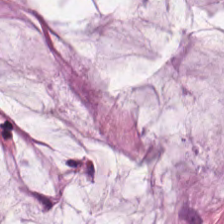H&E-stained tissue section; FFPE tissue section.
Tissue class = mucin.
